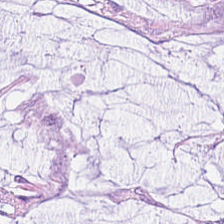Hematoxylin-and-eosin stained section.
Histology — mucin.
